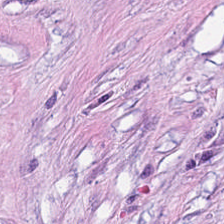0.5 µm per pixel · H&E stain.
This field is tumor stroma.
